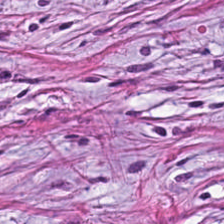FFPE tissue section; H&E. Tissue class — tumor-associated stroma.
